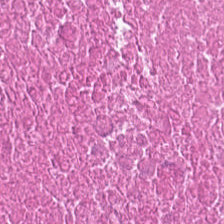Stain: hematoxylin and eosin.
Tissue type: necrotic debris.
